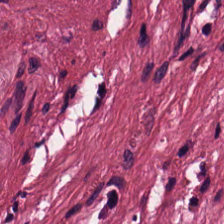Q: What is the predominant tissue type?
A: This is desmoplastic stroma.
